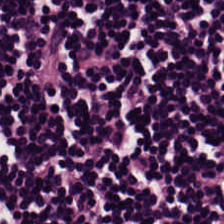Stain: hematoxylin-and-eosin stained section.
Resolution: 20× equivalent magnification.
Tissue class: lymphocytic infiltrate.
